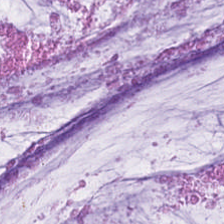Hematoxylin and eosin — Showing mucin.
